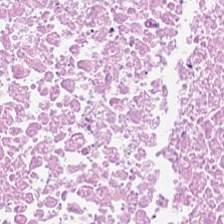Whole-slide-image patch. Hematoxylin and eosin.
Impression → cellular debris.
